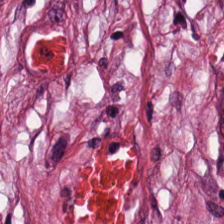Hematoxylin-and-eosin stained section.
The tissue here is cancer-associated stroma.
